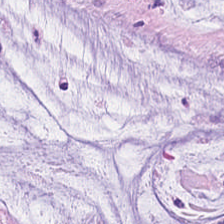Stain: hematoxylin and eosin.
Tissue type: extracellular mucin.
